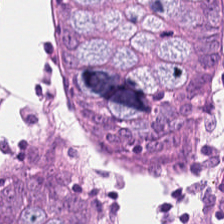Tissue — non-neoplastic colon mucosa.
